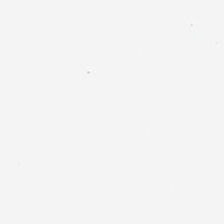FFPE; H&E stain; 224×224 px tile.
Empty field — background (no tissue).
